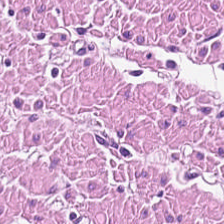Impression — smooth muscle.
